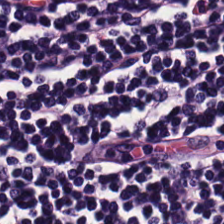H&E-stained tissue section.
Histology → lymphocytic infiltrate.
